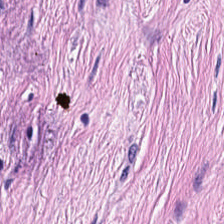Hematoxylin and eosin · 0.5 µm per pixel.
Predominant tissue: tumor-associated stroma.
